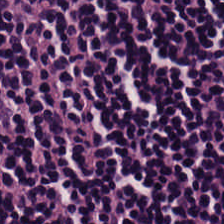Hematoxylin-and-eosin section: lymphocytes.
